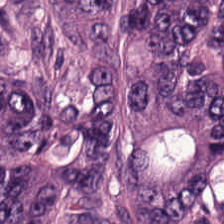Hematoxylin-and-eosin stained section · 0.5 µm per pixel. Tissue type = colorectal adenocarcinoma.
